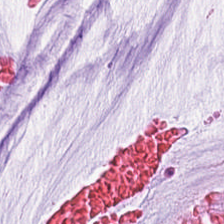WSI patch. Hematoxylin and eosin. Q: What tissue is shown?
A: The field shows mucus.
